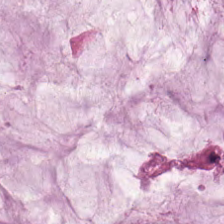WSI patch. Hematoxylin and eosin. 0.5 µm per pixel. Q: What type of tissue is this?
A: This is extracellular mucin.
